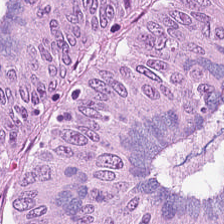Hematoxylin-and-eosin stained section · brightfield. Q: Identify the tissue.
A: Tumor epithelium.
